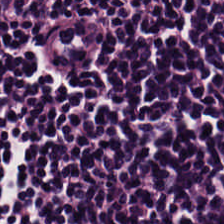Stain: hematoxylin and eosin.
Tissue: lymphocytic infiltrate.
